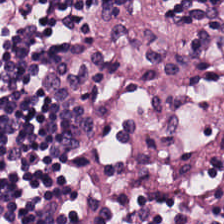H&E · brightfield microscopy — The predominant tissue is lymphocyte aggregate.
